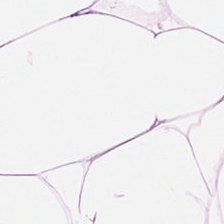H&E; 0.5 µm/px; 224×224 pixel tile. Showing adipocytes.
